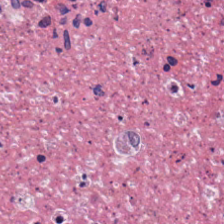H&E patch showing debris.
